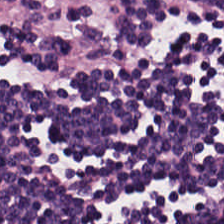H&E stain — Showing lymphocytes.
